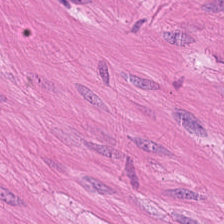Hematoxylin-and-eosin stained section — The tissue class is muscularis.
